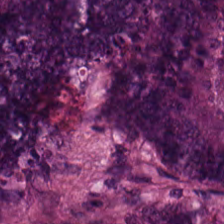H&E-stained tissue section.
Classification = adenocarcinoma.
